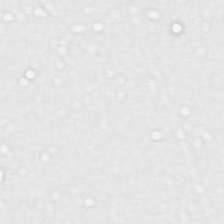Classification — no tissue.
